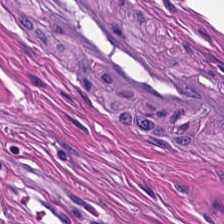Tissue: smooth muscle.
